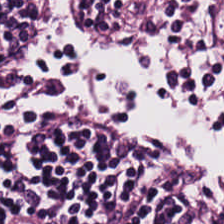FFPE tissue section. H&E-stained tissue section. 224×224 px patch — Finding — lymphocytic infiltrate.
